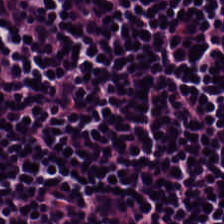H&E — Tissue — lymphoid infiltrate.
